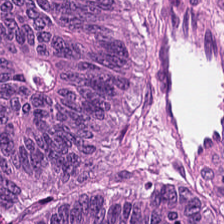H&E · WSI patch.
Predominantly adenocarcinoma.
